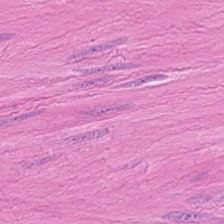Stain: hematoxylin and eosin.
Tile size: 224×224 pixel tile.
Classification: smooth-muscle tissue.
